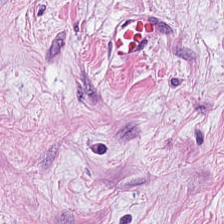Hematoxylin-and-eosin stained section; 20× equivalent magnification. Predominantly tumor-associated stroma.
